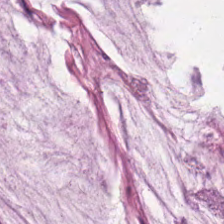Q: What does this patch show?
A: The field shows mucus.
